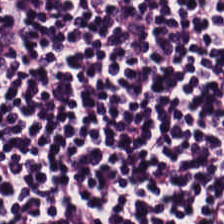Stain: H&E-stained tissue section.
Classification: lymphoid infiltrate.
